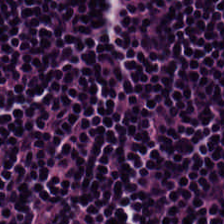H&E-stained tissue section.
The tissue is lymphoid infiltrate.
